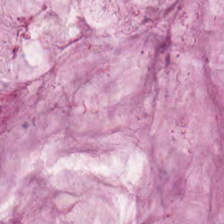Stain: H&E stain.
Resolution: 0.5 microns per pixel.
Tissue: extracellular mucin.
